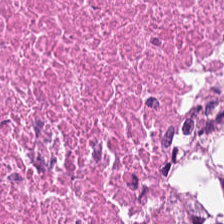The tissue is necrotic debris.
